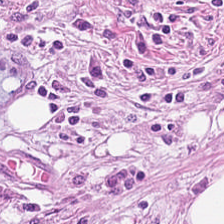Stain: hematoxylin and eosin.
Classification: cancer-associated stroma.
